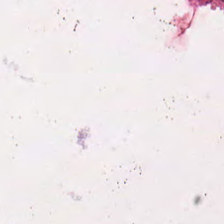This patch shows cellular debris.
